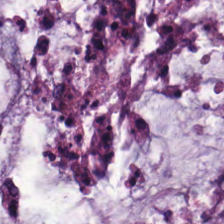Stain: hematoxylin-and-eosin stained section.
Tile size: 224×224 px patch.
Tissue class: mucus.
